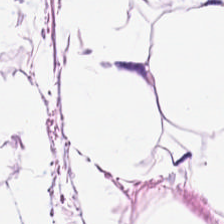224×224 px tile · H&E.
The tissue type is fat tissue.
